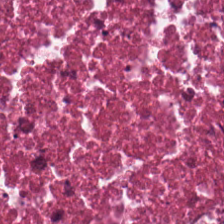Hematoxylin and eosin · WSI patch · FFPE. Q: What type of tissue is this?
A: The field shows cellular debris.
